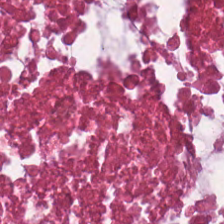Brightfield. H&E stain. The tissue here is necrotic debris.
